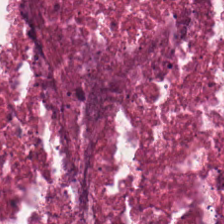Hematoxylin-and-eosin stained section; 0.5 µm per pixel; 224×224 pixel tile — The tissue here is debris.
